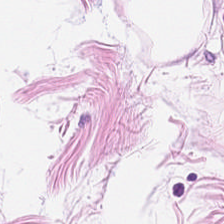Adipose tissue.
